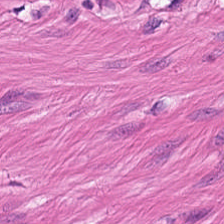20× equivalent magnification; brightfield; hematoxylin and eosin — Q: What is the predominant tissue type?
A: The field shows smooth muscle.
